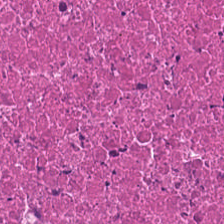224×224 pixel tile. Hematoxylin and eosin — Tissue class = necrotic debris.
